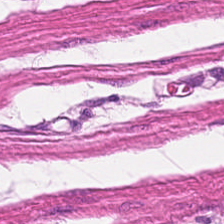Stain: H&E.
Classification: smooth-muscle tissue.
